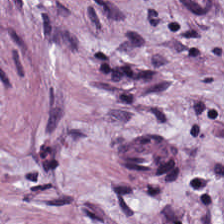This field is tumor stroma.
